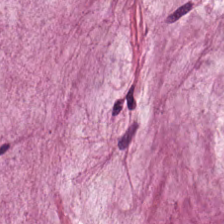Hematoxylin and eosin.
The classification is mucus.
